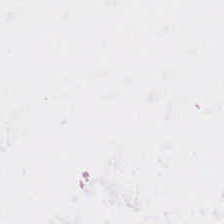Stain: hematoxylin-and-eosin stained section.
Tile size: 224×224 pixel tile.
Classification: background (no tissue).
